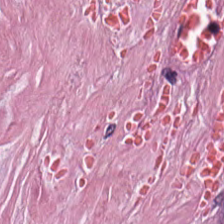H&E — Classification = tumor stroma.
